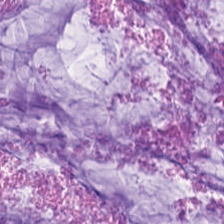H&E.
Tissue class: mucin.
